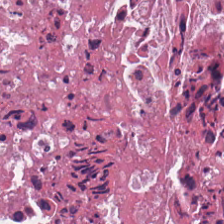Hematoxylin and eosin.
Tissue class = necrotic debris.
